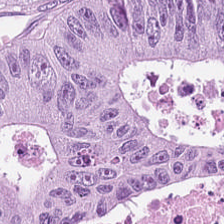0.5 µm per pixel. Hematoxylin-and-eosin stained section. Q: What tissue is shown?
A: This is adenocarcinoma.
